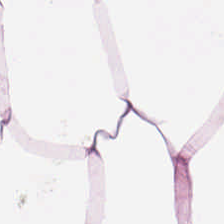The tissue is adipocytes.
